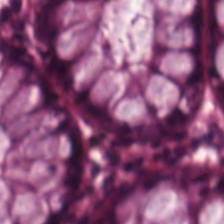Stain: H&E.
Tile size: 224×224 px patch.
Preparation: FFPE.
Classification: normal colonic mucosa.
